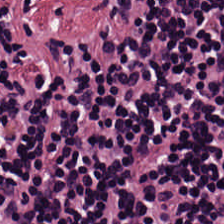Formalin-fixed paraffin-embedded section. Hematoxylin and eosin. This patch shows lymphoid infiltrate.
